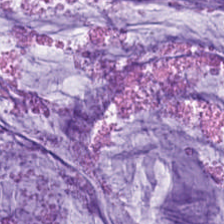H&E; 224×224 px patch.
The tissue here is mucus.
